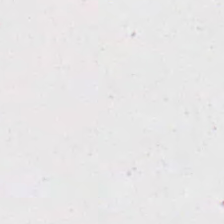Hematoxylin-and-eosin stained section — This patch shows no tissue.
